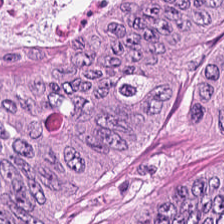Hematoxylin and eosin.
Histology → malignant epithelium.
